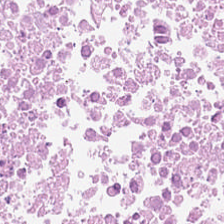H&E stain. Showing necrotic debris.
